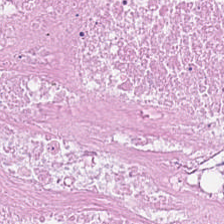Brightfield. 20× equivalent magnification. H&E — Impression → debris.
